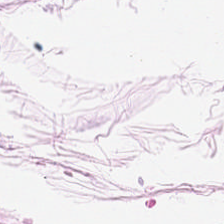FFPE; hematoxylin and eosin — Adipocytes.
